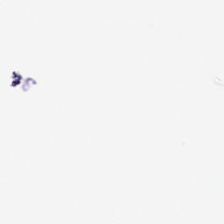0.5 µm/px. Formalin-fixed paraffin-embedded section. Hematoxylin and eosin. Finding — background (no tissue).
